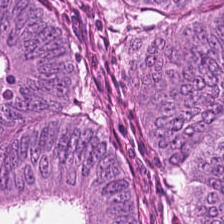20× equivalent magnification; hematoxylin-and-eosin stained section.
Q: What type of tissue is this?
A: It is colorectal adenocarcinoma epithelium.
